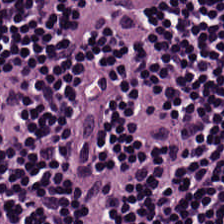224×224 pixel tile · FFPE tissue section · H&E.
Predominantly lymphocytes.
